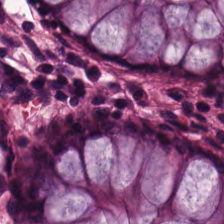Hematoxylin and eosin. Brightfield. Formalin-fixed paraffin-embedded section. The tissue is non-neoplastic colon mucosa.
